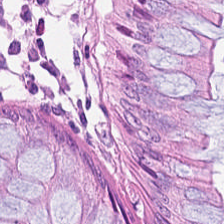{"tissue_type": "non-neoplastic colon mucosa"}
